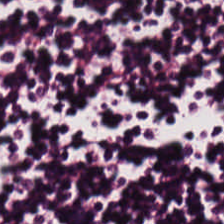Whole-slide-image patch; FFPE; H&E stain. Lymphocyte aggregate.
